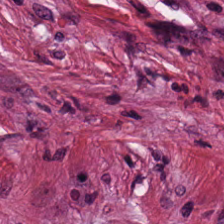H&E — Classification = tumor stroma.
